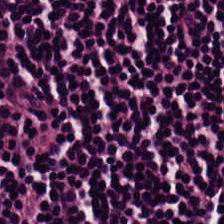H&E-stained tissue section. Formalin-fixed paraffin-embedded section — Q: Classify this patch.
A: Lymphoid infiltrate.
